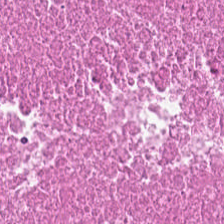The tissue here is cellular debris.
